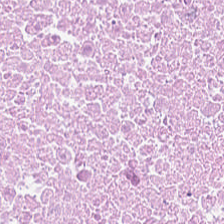H&E-stained tissue section — The predominant tissue is necrotic debris.
